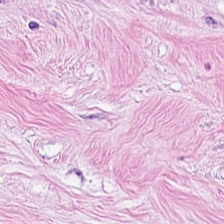H&E · formalin-fixed paraffin-embedded section — Finding — cancer-associated stroma.
